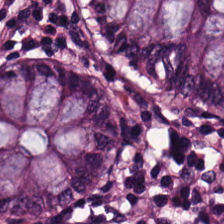0.5 microns per pixel. 224×224 pixel tile. Hematoxylin-and-eosin stained section.
This field is non-neoplastic colon mucosa.
